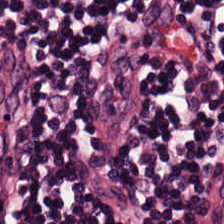The classification is lymphocytes.
